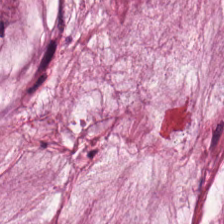224×224 px tile. WSI patch. Hematoxylin and eosin.
Predominant tissue: extracellular mucin.
